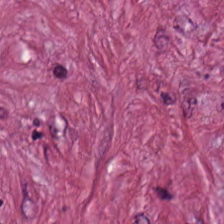224×224 pixel tile · H&E. Showing tumor-associated stroma.
